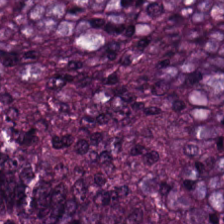H&E. 224×224 px tile. Q: Classify this patch.
A: Tumor epithelium.
